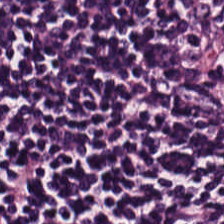H&E-stained tissue section; 224×224 px patch.
This field is lymphocytes.
